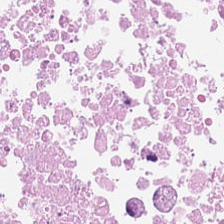H&E-stained tissue section; 224×224 pixel tile — Tissue — cellular debris.
